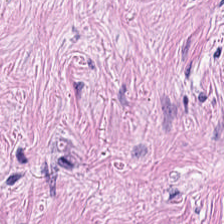Hematoxylin and eosin.
Histology — cancer-associated stroma.
